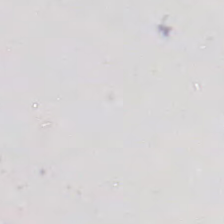H&E.
Background.
